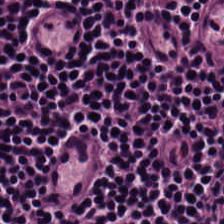H&E stain.
The predominant tissue is lymphocytic infiltrate.
